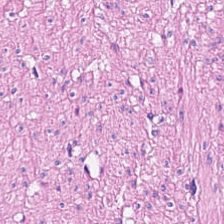H&E-stained tissue section showing smooth muscle.
